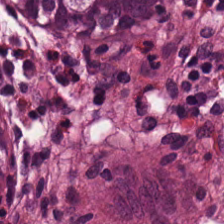Hematoxylin and eosin.
Q: What is shown here?
A: The field shows normal colon mucosa.
